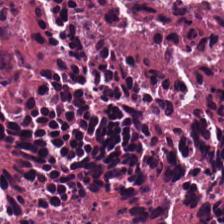Tissue type — necrotic debris.
